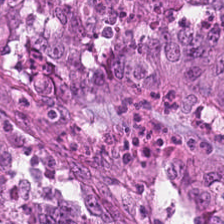224×224 px patch. Hematoxylin and eosin. 20× equivalent magnification.
The tissue is colorectal adenocarcinoma epithelium.
